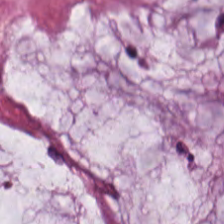0.5 µm/px; H&E — {"tissue_type": "mucus"}
